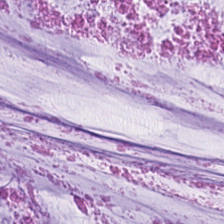H&E.
Q: Classify this patch.
A: Mucin.
